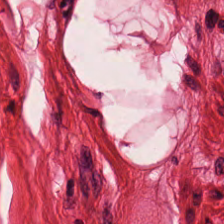Brightfield; H&E — Showing smooth-muscle tissue.
